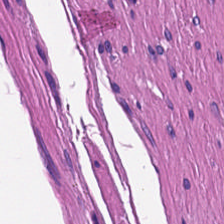H&E stain — This patch shows muscularis.
